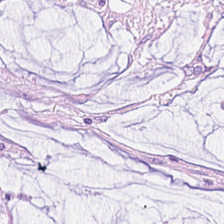H&E; 224×224 pixel tile; formalin-fixed paraffin-embedded section.
This patch shows extracellular mucin.
